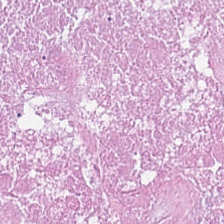Whole-slide-image patch; 0.5 µm/px; H&E-stained tissue section.
Finding → debris.
